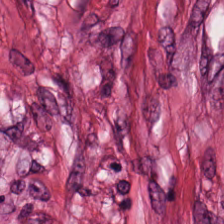Brightfield. 224×224 pixel tile. Hematoxylin and eosin.
{"tissue_type": "tumor-associated stroma"}
